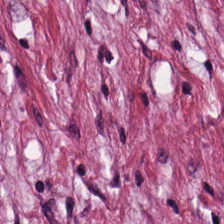Formalin-fixed paraffin-embedded section. Hematoxylin-and-eosin stained section. The predominant tissue is tumor stroma.
